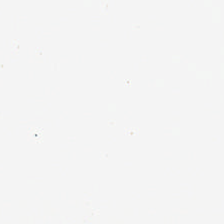Hematoxylin and eosin. 0.5 µm per pixel.
Finding → background.
